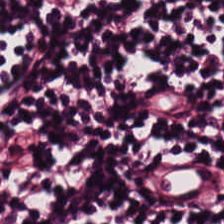H&E stain — Q: Identify the tissue.
A: This is lymphoid infiltrate.
